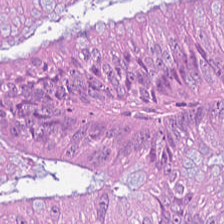Predominantly tumor epithelium.
